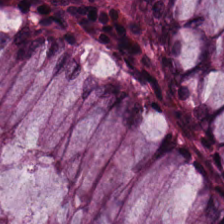H&E-stained tissue section. Finding — benign colonic mucosa.
